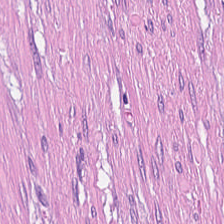Brightfield microscopy. H&E stain — This patch shows desmoplastic stroma.
